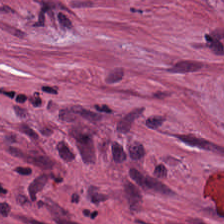H&E.
Histology → cancer-associated stroma.
